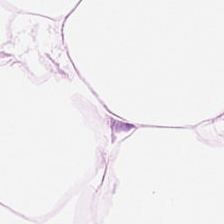Hematoxylin-and-eosin stained section.
This patch shows adipose.
